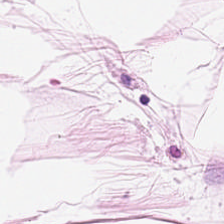Whole-slide-image patch · hematoxylin-and-eosin stained section — Tissue — fat tissue.
